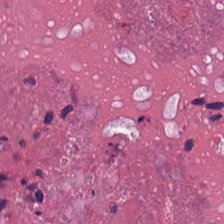H&E-stained tissue section. Classification — necrotic debris.
